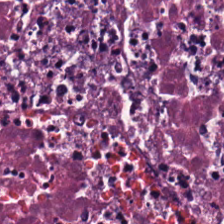H&E-stained tissue section. The predominant tissue is cellular debris.
